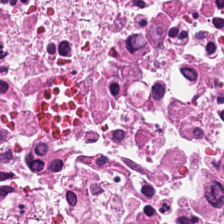Hematoxylin and eosin — Q: Classify this patch.
A: This is debris.
